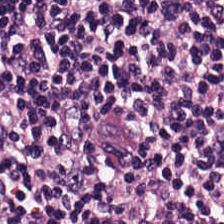Stain: hematoxylin-and-eosin stained section.
Tile size: 224×224 pixel tile.
Predominant tissue: lymphocytes.
